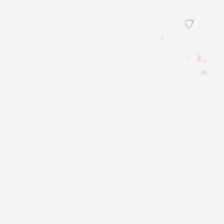0.5 microns per pixel · H&E-stained tissue section — Content: background.
